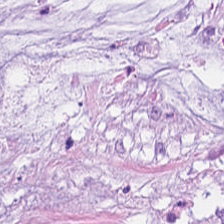H&E stain. This field is mucus.
